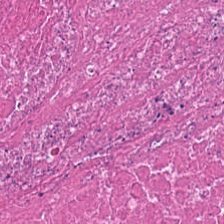Hematoxylin and eosin. The tissue here is debris.
